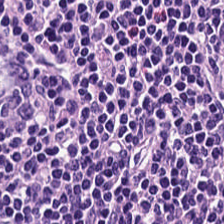Tissue class = lymphoid infiltrate.
